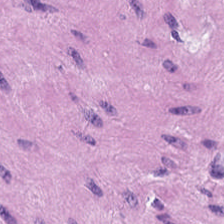224×224 px patch; hematoxylin-and-eosin stained section. {"tissue_type": "muscularis"}
